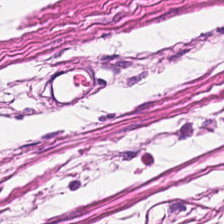Stain: hematoxylin and eosin.
Tile size: 224×224 pixel tile.
Acquisition: brightfield.
Classification: muscularis.
